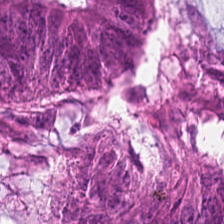H&E-stained tissue section. Predominantly colorectal adenocarcinoma epithelium.
